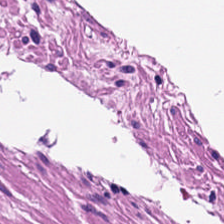Hematoxylin and eosin — This field is smooth muscle.
